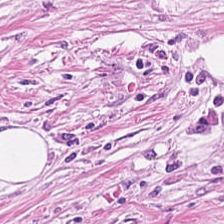{"tissue_type": "tumor-associated stroma"}
